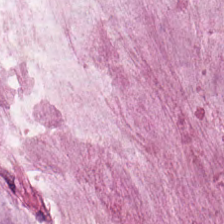0.5 µm/px · H&E. This patch shows mucin.
